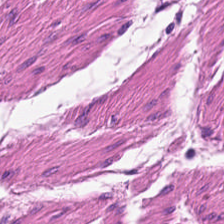224×224 px tile. Hematoxylin and eosin. 20× equivalent magnification. Predominantly smooth muscle.
